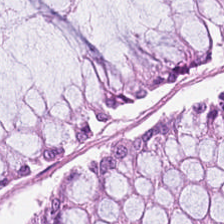Impression → normal colon mucosa.
